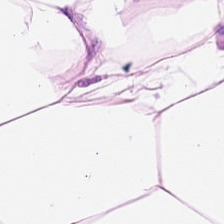WSI patch · H&E-stained tissue section — The tissue here is adipocytes.
